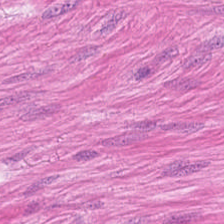Hematoxylin and eosin; 20× equivalent magnification. Impression — smooth-muscle tissue.
